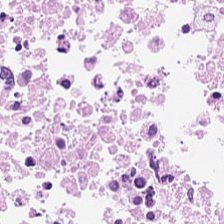H&E stain.
Predominantly cellular debris.
